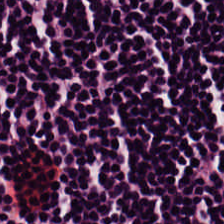Hematoxylin and eosin. Impression — lymphocyte aggregate.
